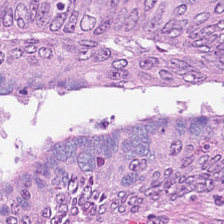Tissue type = adenocarcinoma.
